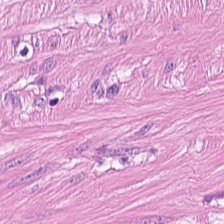Showing muscularis.
